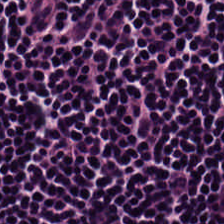Hematoxylin and eosin; 0.5 µm/px; brightfield microscopy — Q: Classify this patch.
A: It is lymphocyte aggregate.
